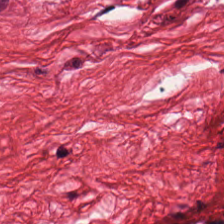FFPE · H&E stain · 224×224 px patch. Q: What is shown in this field?
A: Muscularis.
